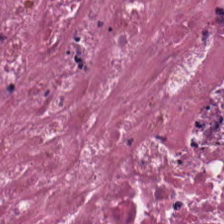Hematoxylin and eosin — Predominant tissue = debris.
